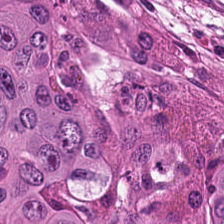Hematoxylin and eosin; 224×224 px tile. Predominant tissue — colorectal adenocarcinoma.
